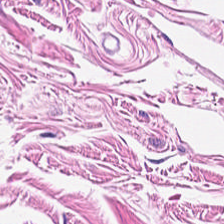This patch shows smooth muscle.
